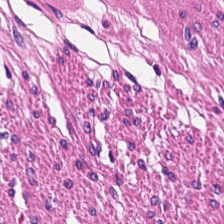Q: What tissue is shown?
A: Muscularis.
